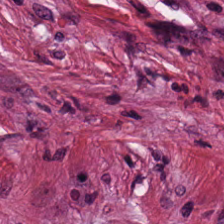0.5 µm/px. 224×224 px tile. H&E stain — Classification = desmoplastic stroma.
